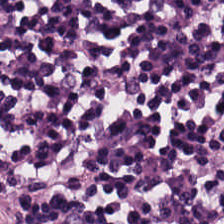H&E-stained tissue section.
The tissue is lymphocytic infiltrate.
